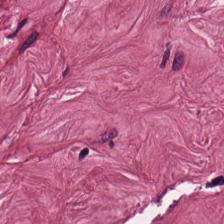H&E-stained tissue section showing tumor-associated stroma.
